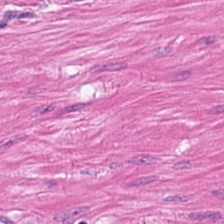Hematoxylin and eosin. The tissue type is smooth-muscle tissue.
